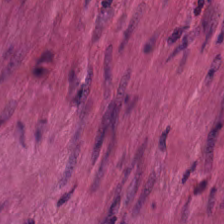Formalin-fixed paraffin-embedded section · H&E · 224×224 px patch — This patch shows smooth-muscle tissue.
